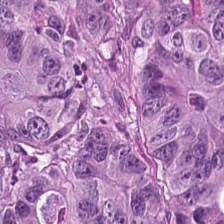H&E.
The predominant tissue is malignant epithelium.
